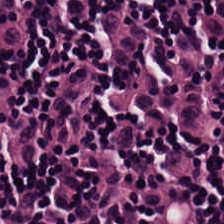Stain: hematoxylin and eosin.
Acquisition: brightfield microscopy.
Resolution: 0.5 microns per pixel.
Tissue type: lymphocytes.
